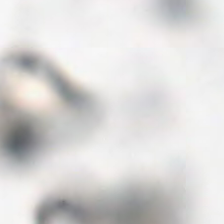WSI patch · H&E stain.
Q: Classify this patch.
A: It is empty background.
